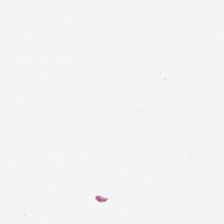H&E-stained tissue section; 224×224 pixel tile.
Q: What does this patch show?
A: Background (no tissue).
